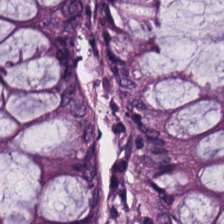H&E-stained tissue section.
Tissue type = normal colonic mucosa.
